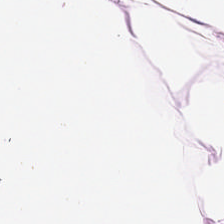H&E-stained tissue section. The predominant tissue is adipocytes.
